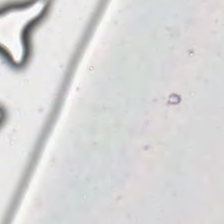0.5 microns per pixel; hematoxylin and eosin; FFPE tissue section. Content — background (no tissue).
